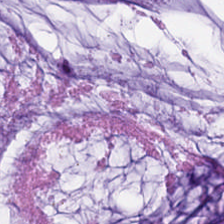0.5 microns per pixel. Hematoxylin-and-eosin stained section. This patch shows extracellular mucin.
